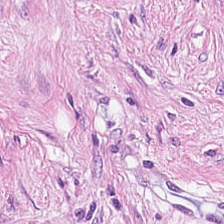FFPE; 224×224 pixel tile; H&E-stained tissue section — Q: Classify this patch.
A: It is cancer-associated stroma.
